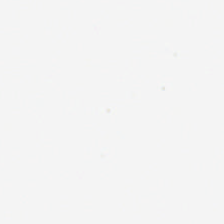H&E.
{"content": "background"}
